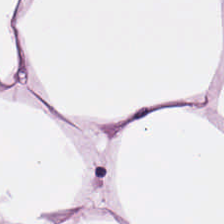Impression — fat tissue.
